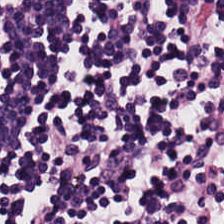Stain: hematoxylin-and-eosin stained section.
Predominant tissue: lymphocytic infiltrate.
